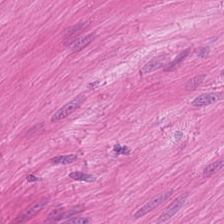224×224 pixel tile · hematoxylin-and-eosin stained section — Q: What tissue is shown?
A: It is muscularis.
